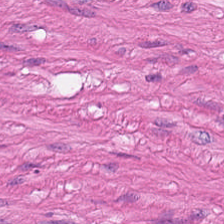H&E · 224×224 pixel tile. Q: Classify this patch.
A: This is smooth-muscle tissue.
